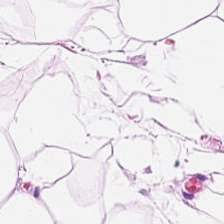{"tissue_type": "adipose"}
